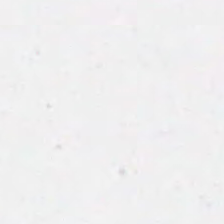Stain: hematoxylin-and-eosin stained section.
Acquisition: brightfield microscopy.
Classification: empty background.
